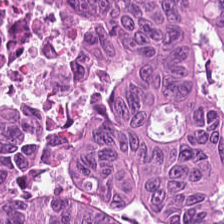Hematoxylin and eosin. 224×224 px tile.
Predominant tissue: tumor epithelium.
